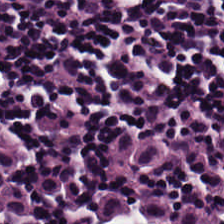Hematoxylin and eosin; brightfield; 224×224 pixel tile. Q: Classify this patch.
A: This is lymphocytes.
